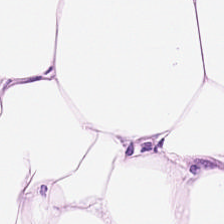Stain: hematoxylin and eosin.
Tile size: 224×224 px patch.
Tissue type: adipocytes.
